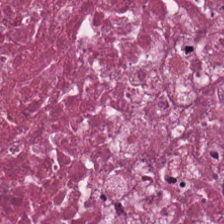Hematoxylin and eosin · FFPE tissue section · 224×224 pixel tile.
Q: What tissue is shown?
A: The field shows cellular debris.
